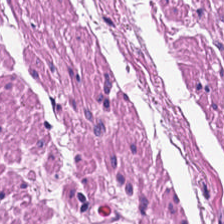H&E stain. Whole-slide-image patch.
Q: Identify the tissue.
A: This is smooth-muscle tissue.
